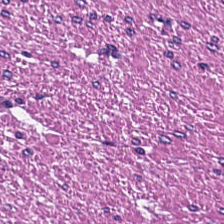Q: What tissue is shown?
A: The field shows smooth-muscle tissue.
